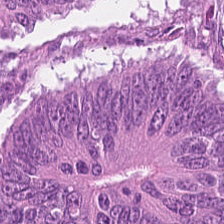The predominant tissue is colorectal adenocarcinoma epithelium.
